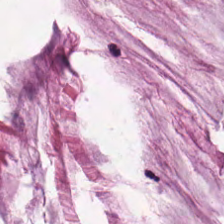H&E-stained tissue section.
{"tissue_type": "mucus"}
